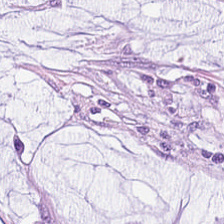The predominant tissue is extracellular mucin.
